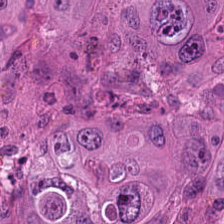0.5 microns per pixel. H&E stain. 224×224 pixel tile. Impression → tumor epithelium.
